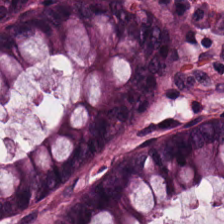H&E. Q: What does this patch show?
A: The field shows normal colonic mucosa.
